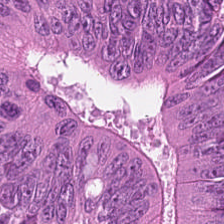Hematoxylin and eosin; brightfield microscopy. Q: Classify this patch.
A: The field shows malignant epithelium.
